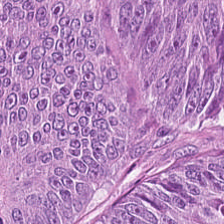0.5 µm per pixel. 224×224 pixel tile. H&E-stained tissue section.
Q: What is shown in this field?
A: Adenocarcinoma.
